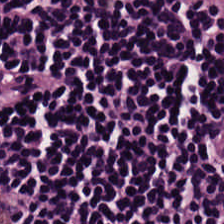H&E stain. Predominant tissue — lymphoid infiltrate.
